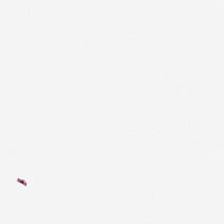H&E stain — Impression — empty background.
